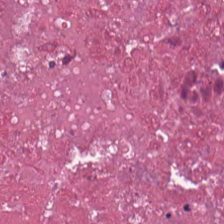FFPE tissue section; hematoxylin and eosin — The tissue is necrotic debris.
